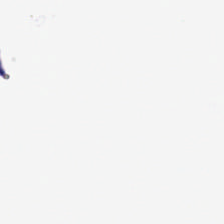Hematoxylin-and-eosin stained section. Field content — background.
